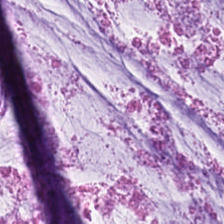H&E-stained tissue section · 224×224 px tile — Predominantly mucus.
